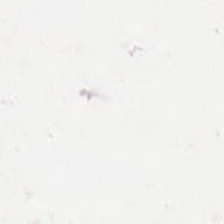H&E stain.
Q: What is shown in this field?
A: Background (no tissue).
